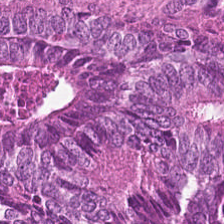H&E stain. Brightfield — Tissue = tumor epithelium.
